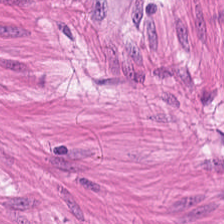H&E stain — This patch shows smooth muscle.
